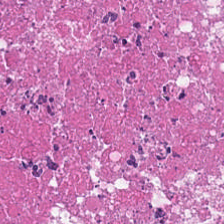H&E-stained tissue section. Q: What does this patch show?
A: This is debris.
